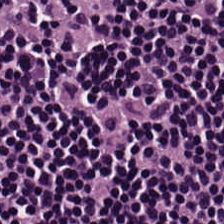H&E-stained section; the field shows lymphocytes.
